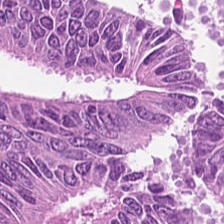Hematoxylin and eosin.
Showing colorectal adenocarcinoma epithelium.
